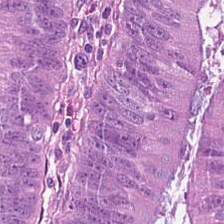H&E-stained tissue section. 224×224 px tile.
Adenocarcinoma.
